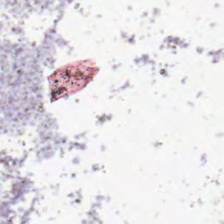Hematoxylin-and-eosin stained section. Classification: empty background.
